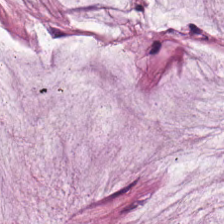Hematoxylin-and-eosin section: mucus.
